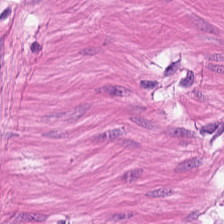Hematoxylin-and-eosin stained section — Impression → smooth muscle.
